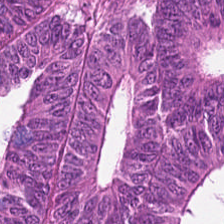Histology — malignant epithelium.
